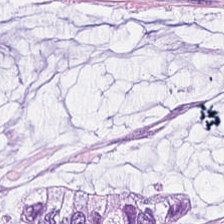Classification = mucin.
